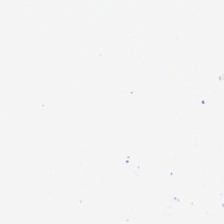No tissue present; background only.
